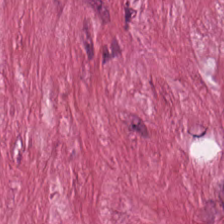H&E. 224×224 px patch — Q: Identify the tissue.
A: Tumor-associated stroma.
